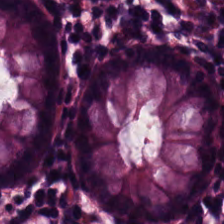H&E-stained tissue section — Histology → normal colonic mucosa.
